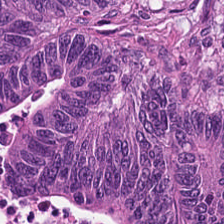H&E-stained tissue section. {"tissue_type": "colorectal adenocarcinoma"}
